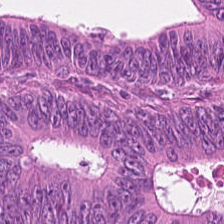H&E stain — Predominantly adenocarcinoma.
